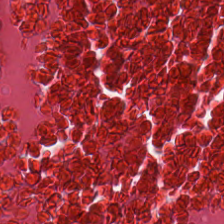H&E stain.
This field is debris.
